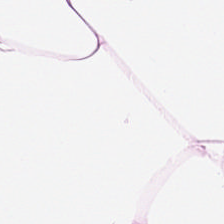Hematoxylin-and-eosin stained section; 0.5 microns per pixel; WSI patch. The tissue class is adipose tissue.
